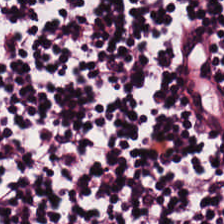Tissue: lymphoid infiltrate.
